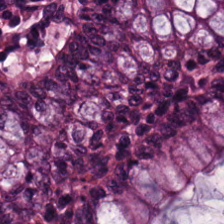0.5 µm/px; H&E stain; FFPE. Predominant tissue = normal colonic mucosa.
